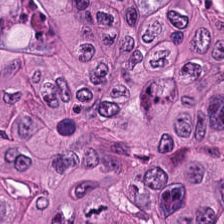Showing malignant epithelium.
